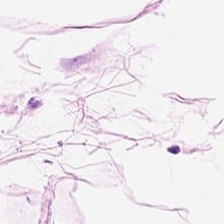H&E-stained tissue section. Adipose tissue.
